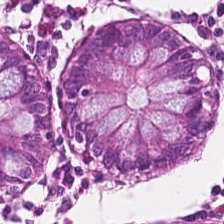Brightfield microscopy. 20× equivalent magnification. Hematoxylin and eosin. The tissue type is non-neoplastic colon mucosa.
